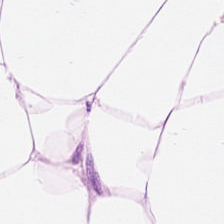Q: What type of tissue is this?
A: The field shows fat tissue.
